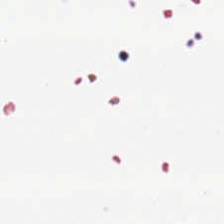Stain: H&E stain.
Classification: no tissue.
